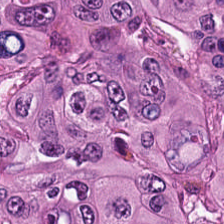Q: What is shown in this field?
A: This is colorectal adenocarcinoma.
